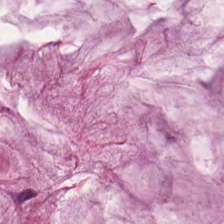0.5 microns per pixel; hematoxylin-and-eosin stained section. Predominant tissue: mucin.
